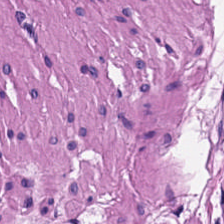H&E-stained tissue section.
Tissue: smooth-muscle tissue.
